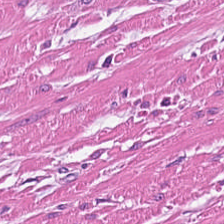224×224 px patch · 0.5 µm/px · H&E. Predominantly smooth muscle.
